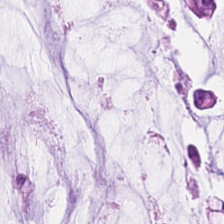Finding → mucus.
